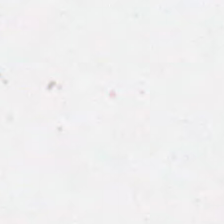{"content": "no tissue"}
